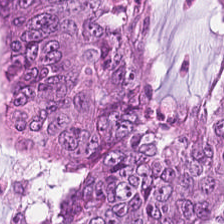H&E patch showing colorectal adenocarcinoma.
